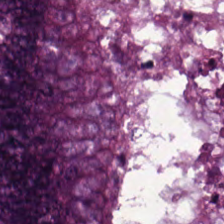Tissue type: colorectal adenocarcinoma.
